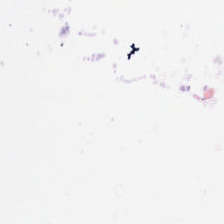Content — background (no tissue).
